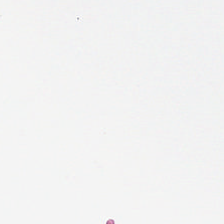224×224 px patch. H&E stain. No tissue present; background only.
